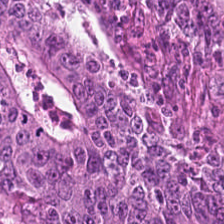224×224 px tile. Hematoxylin and eosin. Showing malignant epithelium.
